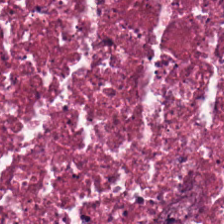FFPE · hematoxylin and eosin. Q: What does this patch show?
A: The field shows necrotic debris.
